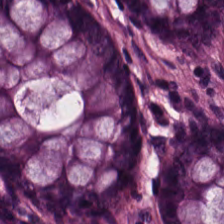Stain: hematoxylin-and-eosin stained section.
Acquisition: brightfield.
Resolution: 0.5 µm per pixel.
Classification: normal colon mucosa.
